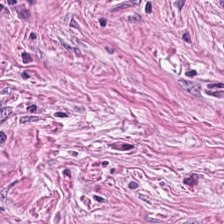Hematoxylin and eosin — Finding → desmoplastic stroma.
